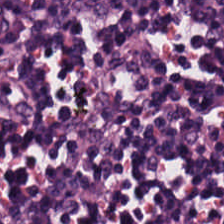H&E-stained tissue section — Q: Identify the tissue.
A: Lymphoid infiltrate.
